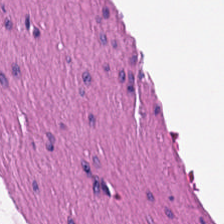Histology — smooth-muscle tissue.
